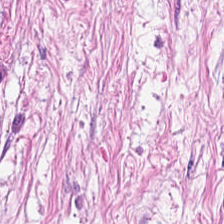H&E — tumor stroma.
